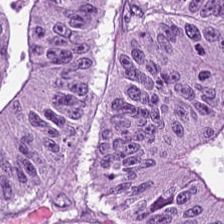Hematoxylin and eosin · FFPE.
Showing colorectal adenocarcinoma epithelium.
